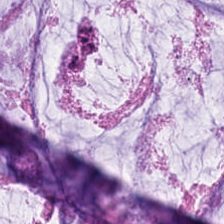0.5 microns per pixel; H&E stain; WSI patch.
{"tissue_type": "mucin"}
